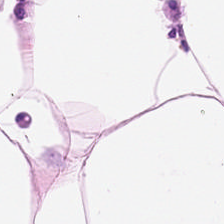H&E-stained tissue section · 224×224 pixel tile — Impression → adipocytes.
